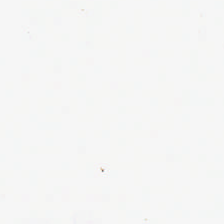Hematoxylin-and-eosin stained section. 0.5 microns per pixel — {"content": "no tissue"}
